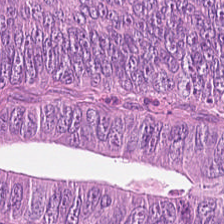H&E-stained tissue section. FFPE tissue section. 224×224 px patch.
Tumor epithelium.
